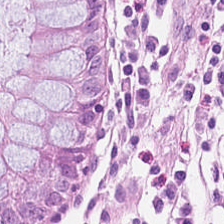H&E stain; formalin-fixed paraffin-embedded section.
This patch shows normal colon mucosa.
